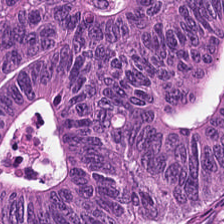H&E. The tissue here is colorectal adenocarcinoma epithelium.
